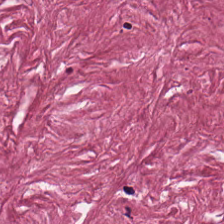H&E patch showing tumor stroma.
